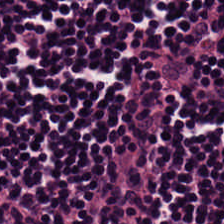H&E stain · brightfield. Showing lymphocytes.
